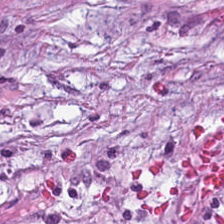Hematoxylin and eosin.
Predominant tissue — mucus.
